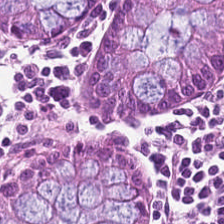Hematoxylin-and-eosin stained section.
This patch shows normal colon mucosa.
